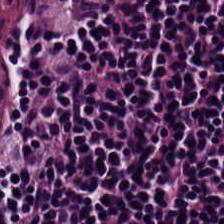The tissue here is lymphocytes.
